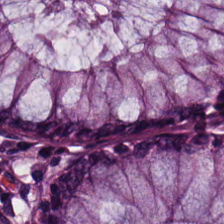Stain: H&E-stained tissue section.
Tissue class: non-neoplastic colon mucosa.
